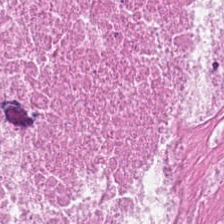Hematoxylin and eosin. This patch shows debris.
